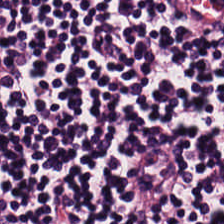0.5 µm/px. Hematoxylin and eosin — Classification — lymphoid infiltrate.
